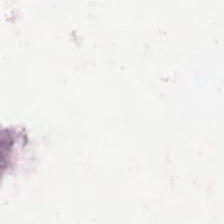The field content is background.
